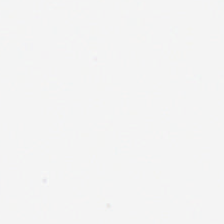0.5 µm/px · H&E stain.
Classification: background (no tissue).
